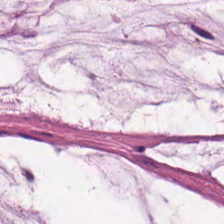H&E stain — {"tissue_type": "extracellular mucin"}
